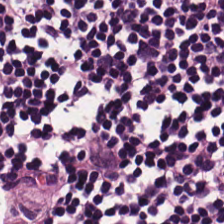This field is lymphocytes.
